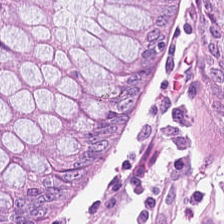Q: What is the predominant tissue type?
A: Benign colonic mucosa.
